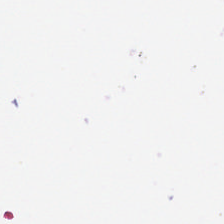224×224 px tile. H&E. Empty field — empty background.
